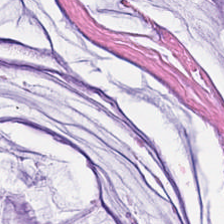Q: What type of tissue is this?
A: It is mucus.
